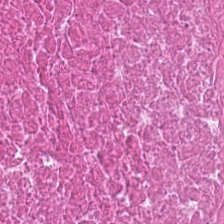Brightfield microscopy · H&E-stained tissue section — {"tissue_type": "debris"}
